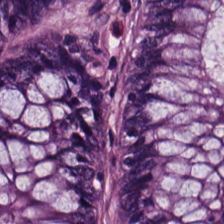H&E-stained tissue section — Q: What is shown here?
A: It is normal colon mucosa.
